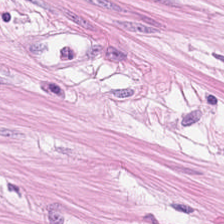FFPE tissue section · hematoxylin and eosin.
Predominantly muscularis.
